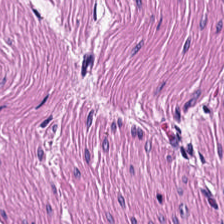Hematoxylin-and-eosin section: muscularis.
